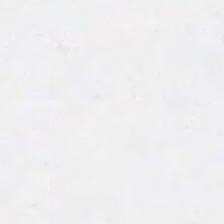H&E stain · FFPE.
Q: What is shown here?
A: Empty background.
